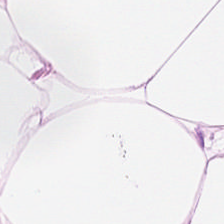0.5 microns per pixel; hematoxylin and eosin. Classification: adipose tissue.
